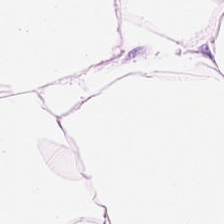Hematoxylin and eosin. Finding — adipose tissue.
